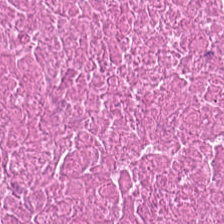Hematoxylin-and-eosin stained section. 224×224 pixel tile — Q: Identify the tissue.
A: Debris.
